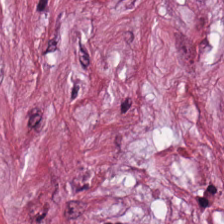Hematoxylin and eosin. Showing tumor-associated stroma.
